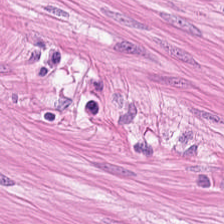H&E stain · 0.5 microns per pixel — Tissue: smooth muscle.
